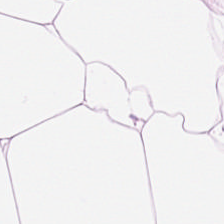H&E stain — This field is adipocytes.
